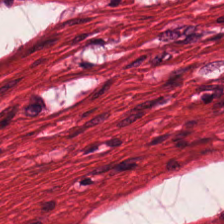Hematoxylin and eosin.
Tissue — smooth muscle.
